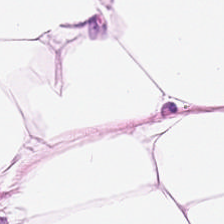H&E — Fat tissue.
